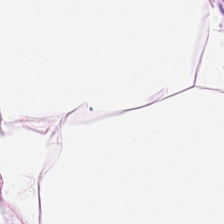Histology → adipocytes.
